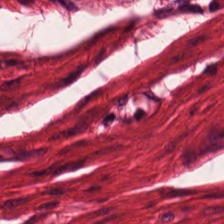H&E stain; 0.5 microns per pixel.
Q: Identify the tissue.
A: The field shows smooth muscle.
